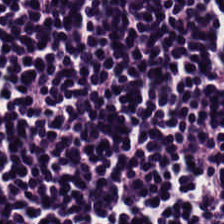Hematoxylin and eosin.
Lymphocyte aggregate.
